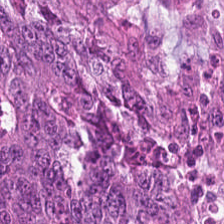224×224 pixel tile · hematoxylin-and-eosin stained section.
Predominantly adenocarcinoma.
